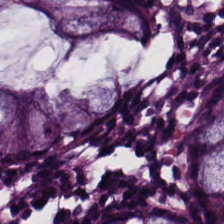Brightfield · FFPE tissue section · H&E. This patch shows benign colonic mucosa.
